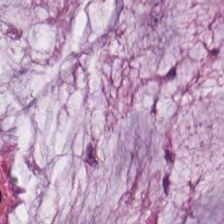Brightfield microscopy · FFPE · H&E-stained tissue section. Impression — mucus.
